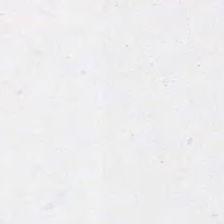H&E stain — The field content is empty background.
